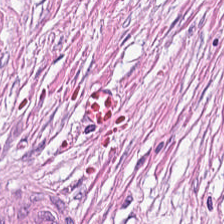Hematoxylin and eosin.
Tissue: cancer-associated stroma.
